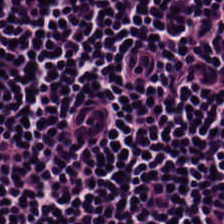20× equivalent magnification. Hematoxylin and eosin.
Tissue class: lymphocytic infiltrate.
